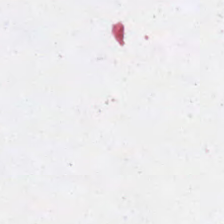FFPE tissue section · hematoxylin-and-eosin stained section.
Q: What is shown here?
A: This is background.
